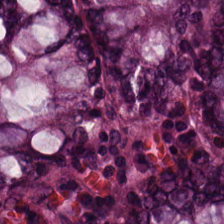H&E stain. 0.5 µm per pixel — Q: What is shown here?
A: This is normal colonic mucosa.
